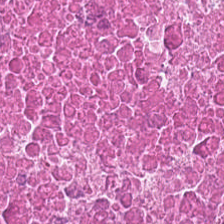H&E — Finding — cellular debris.
